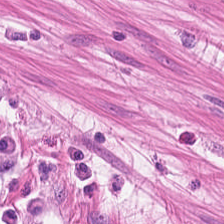224×224 pixel tile; hematoxylin-and-eosin stained section. Predominantly smooth-muscle tissue.
